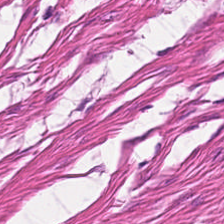Q: What is the predominant tissue type?
A: The field shows muscularis.
